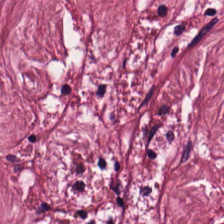H&E stain. Whole-slide-image patch. The tissue here is desmoplastic stroma.
